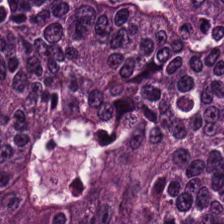The predominant tissue is adenocarcinoma.
